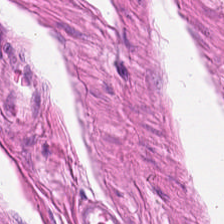H&E · brightfield microscopy.
Finding — muscularis.
